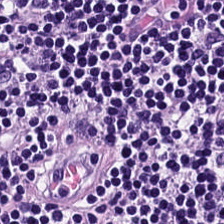H&E stain.
{"tissue_type": "lymphocytic infiltrate"}
